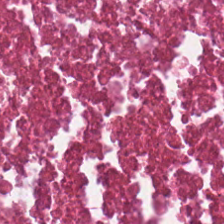0.5 µm per pixel; H&E; formalin-fixed paraffin-embedded section — Q: What tissue is shown?
A: The field shows debris.
